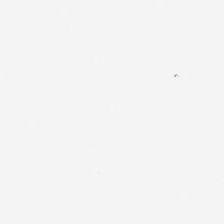Empty background.
